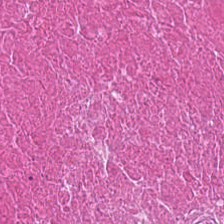H&E — debris.
